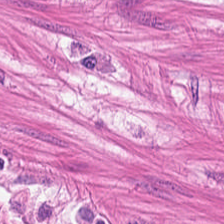Stain: hematoxylin and eosin.
Preparation: FFPE tissue section.
Acquisition: whole-slide-image patch.
Predominant tissue: muscularis.
